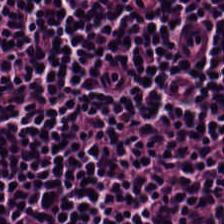H&E stain.
Predominantly lymphocytic infiltrate.
